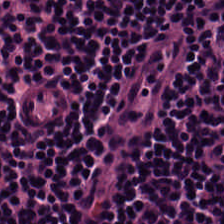Stain: H&E-stained tissue section.
Preparation: FFPE.
Tile size: 224×224 px patch.
Predominant tissue: lymphoid infiltrate.
